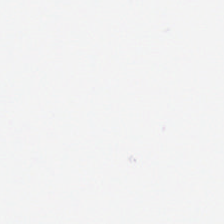This field is background (no tissue).
